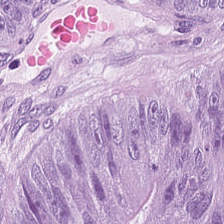H&E.
Q: Identify the tissue.
A: Tumor epithelium.
